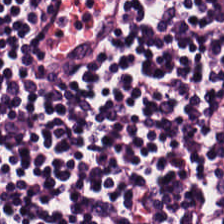FFPE. 0.5 µm per pixel. H&E-stained tissue section.
{"tissue_type": "lymphocyte aggregate"}
